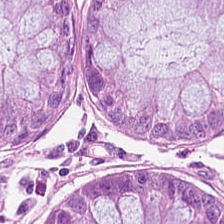H&E stain. FFPE tissue section. Brightfield microscopy — Q: What type of tissue is this?
A: Benign colonic mucosa.
